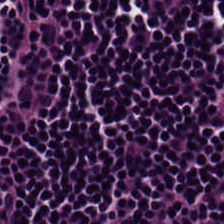224×224 pixel tile · hematoxylin-and-eosin stained section — This field is lymphocytic infiltrate.
